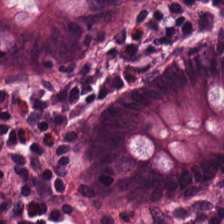The predominant tissue is normal colon mucosa.
